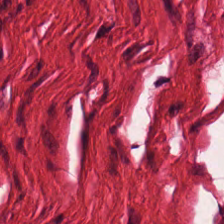FFPE tissue section · hematoxylin and eosin. {"tissue_type": "muscularis"}
